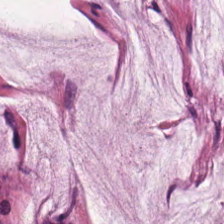H&E stain — Showing mucin.
